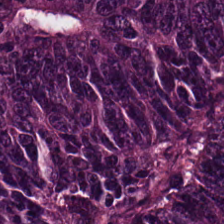Hematoxylin-and-eosin stained section. Formalin-fixed paraffin-embedded section. 224×224 px tile — Predominant tissue — tumor epithelium.
